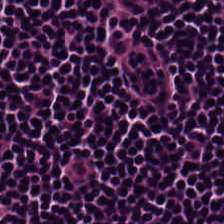224×224 pixel tile; hematoxylin and eosin; 20× equivalent magnification.
The tissue here is lymphocyte aggregate.
